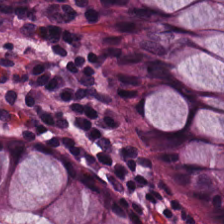224×224 px patch. Hematoxylin-and-eosin stained section. Q: What is the predominant tissue type?
A: Benign colonic mucosa.
